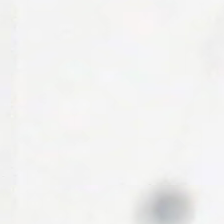Hematoxylin and eosin · 20× equivalent magnification — Background.
